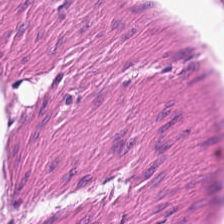Hematoxylin-and-eosin stained section · formalin-fixed paraffin-embedded section. Smooth muscle.
